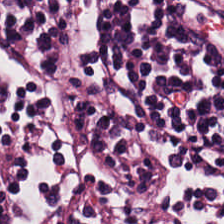Q: Identify the tissue.
A: The field shows lymphocytic infiltrate.
